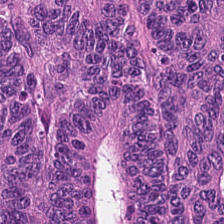Predominantly colorectal adenocarcinoma.
